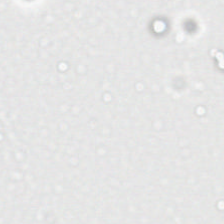Stain: hematoxylin-and-eosin stained section.
Content: empty background.
